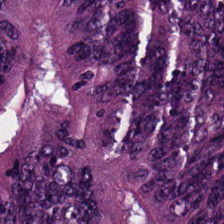The predominant tissue is tumor epithelium.
